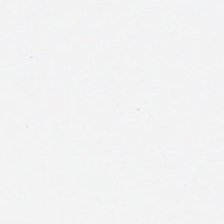{"content": "no tissue"}
